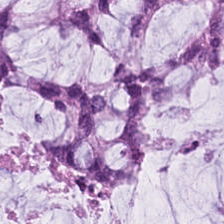{"tissue_type": "mucin"}
